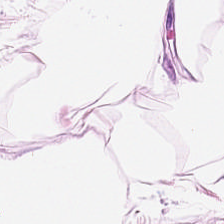H&E-stained tissue section.
Q: What tissue type is shown here?
A: It is adipocytes.
